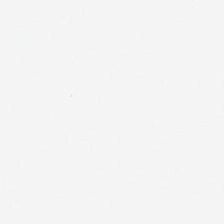Hematoxylin-and-eosin stained section; WSI patch; 224×224 px patch — Q: Classify this patch.
A: Empty background.
